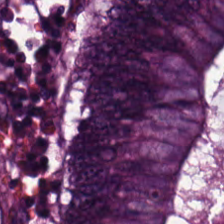Showing colorectal adenocarcinoma.
